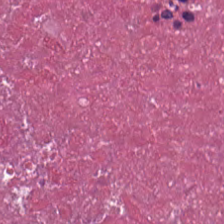Stain: hematoxylin-and-eosin stained section.
Tissue class: necrotic debris.
